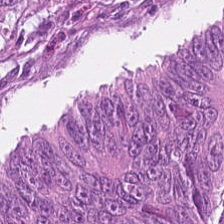224×224 pixel tile · hematoxylin and eosin · brightfield microscopy. Q: What type of tissue is this?
A: It is colorectal adenocarcinoma epithelium.
